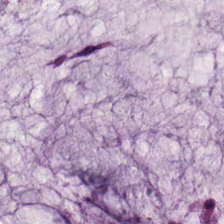Impression → mucin.
